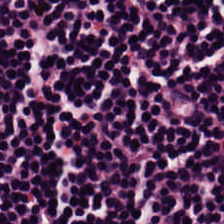{"tissue_type": "lymphocytes"}
